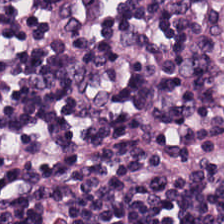H&E stain.
Tissue type: lymphocyte aggregate.
